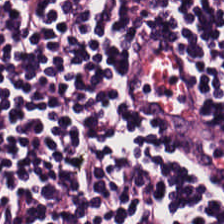Stain: H&E-stained tissue section.
Resolution: 0.5 µm per pixel.
Tile size: 224×224 px tile.
Predominant tissue: lymphocytic infiltrate.
